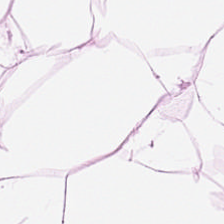Histology — adipose.
